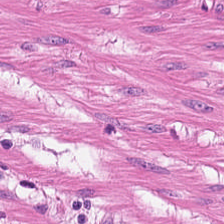Hematoxylin and eosin. {"tissue_type": "muscularis"}
